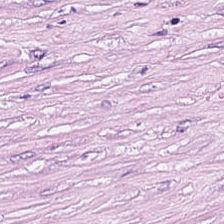H&E stain. Tissue type = tumor stroma.
